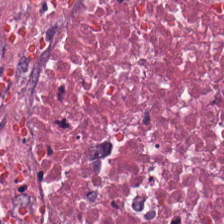Stain: H&E-stained tissue section.
Predominant tissue: necrotic debris.
